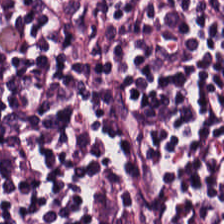Hematoxylin and eosin; 0.5 µm per pixel — Predominant tissue = lymphocyte aggregate.
